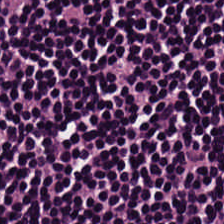H&E · whole-slide-image patch. Q: Classify this patch.
A: This is lymphocytic infiltrate.
